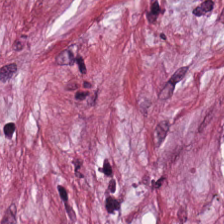Hematoxylin and eosin. Impression → cancer-associated stroma.
